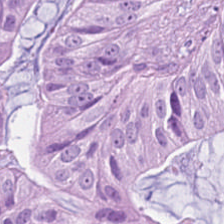Finding — malignant epithelium.
